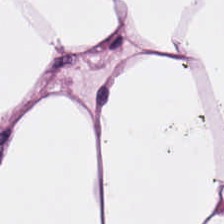Hematoxylin and eosin. The predominant tissue is adipocytes.
